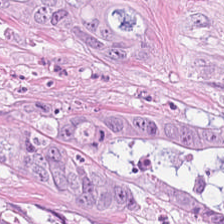Hematoxylin and eosin · formalin-fixed paraffin-embedded section — The predominant tissue is colorectal adenocarcinoma epithelium.
